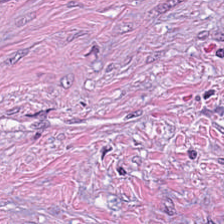Hematoxylin and eosin. Classification = desmoplastic stroma.
